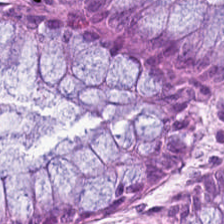H&E stain. Tissue — normal colon mucosa.
